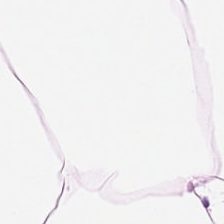0.5 µm/px; 224×224 px patch; H&E. Impression — fat tissue.
